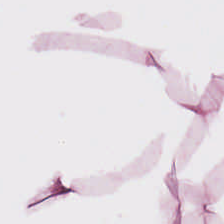Finding — adipose.
